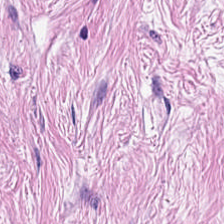Formalin-fixed paraffin-embedded section · brightfield · H&E stain. Q: Identify the tissue.
A: The field shows desmoplastic stroma.
